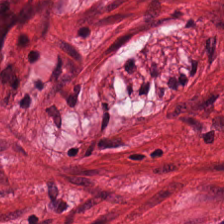0.5 µm per pixel. H&E. Formalin-fixed paraffin-embedded section. Predominantly smooth-muscle tissue.
